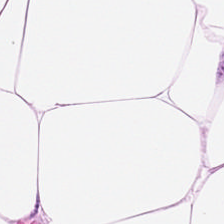H&E-stained tissue section. Fat tissue.
